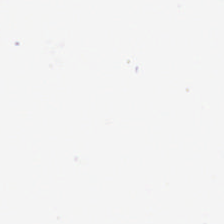Stain: hematoxylin-and-eosin stained section.
Classification: background.
